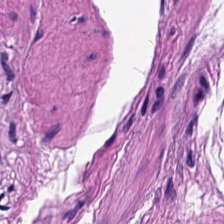H&E. Formalin-fixed paraffin-embedded section.
The predominant tissue is smooth muscle.
